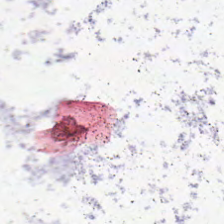H&E-stained tissue section. Content: empty background.
